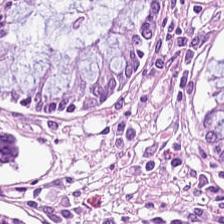0.5 microns per pixel; H&E stain — Q: What type of tissue is this?
A: The field shows non-neoplastic colon mucosa.
